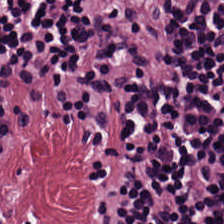Stain: hematoxylin and eosin.
Acquisition: WSI patch.
Classification: lymphocytic infiltrate.
